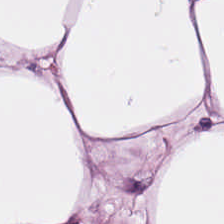H&E stain. FFPE tissue section.
Q: What type of tissue is this?
A: Adipocytes.
